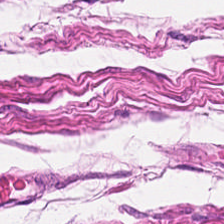Stain: H&E.
Predominant tissue: smooth muscle.
